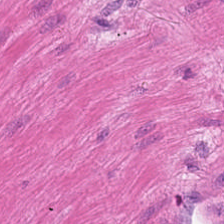Hematoxylin-and-eosin stained section · 0.5 microns per pixel.
This patch shows smooth-muscle tissue.
